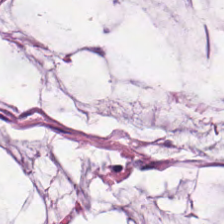Brightfield; hematoxylin and eosin; 0.5 µm per pixel.
The tissue type is mucus.
